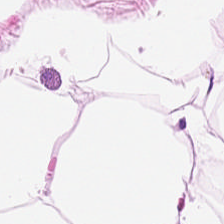H&E-stained tissue section — Predominantly adipose.
